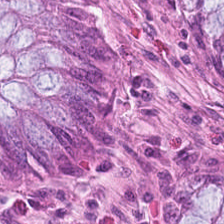Q: What is the predominant tissue type?
A: Benign colonic mucosa.
